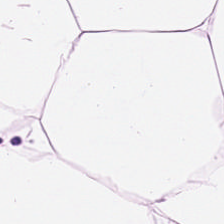Predominant tissue — adipocytes.
